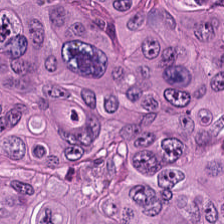Brightfield microscopy; H&E.
Histology — malignant epithelium.
